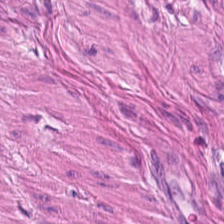224×224 px tile; hematoxylin-and-eosin stained section. The tissue class is smooth-muscle tissue.
